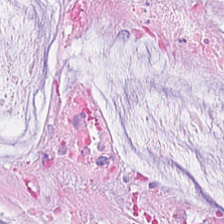H&E stain. This field is extracellular mucin.
